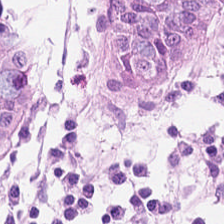Stain: hematoxylin and eosin.
Tissue class: benign colonic mucosa.
